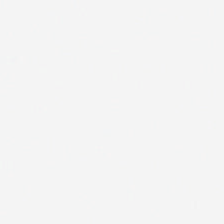This patch shows background.
